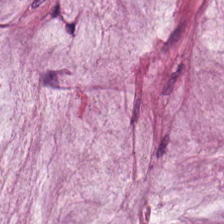Hematoxylin and eosin · formalin-fixed paraffin-embedded section.
The tissue class is mucus.
